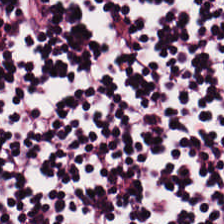Stain: hematoxylin and eosin.
Tissue type: lymphoid infiltrate.
